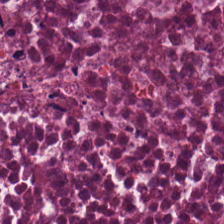H&E stain. Finding — debris.
